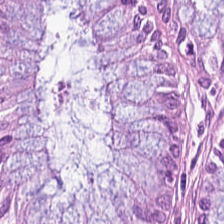Hematoxylin-and-eosin stained section. The predominant tissue is benign colonic mucosa.
